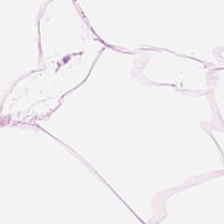H&E — Histology → adipose.
